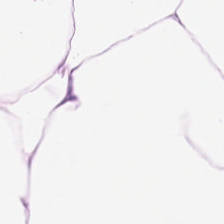Stain: hematoxylin and eosin.
Tissue class: adipose.
